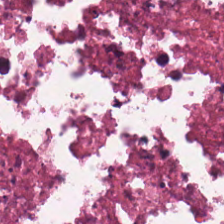H&E stain.
Showing cellular debris.
